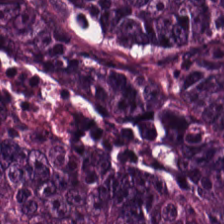{"tissue_type": "colorectal adenocarcinoma"}
